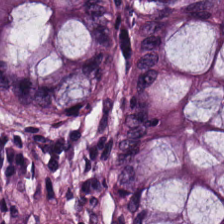H&E stain. Showing benign colonic mucosa.
